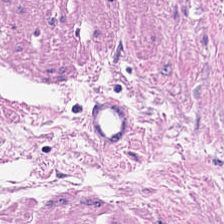Brightfield · 0.5 microns per pixel · H&E stain.
Predominantly smooth-muscle tissue.
